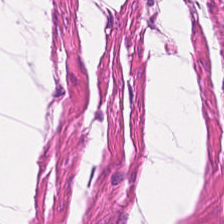Stain: H&E-stained tissue section.
Predominant tissue: smooth muscle.
